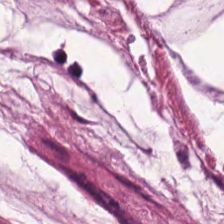H&E-stained tissue section. Predominantly extracellular mucin.
